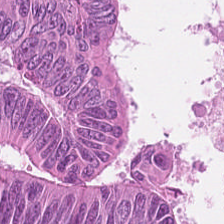Hematoxylin-and-eosin stained section. FFPE. Brightfield microscopy — This field is colorectal adenocarcinoma epithelium.
